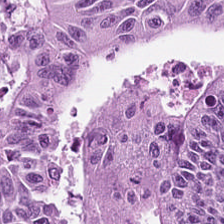H&E-stained tissue section. Histology — adenocarcinoma.
